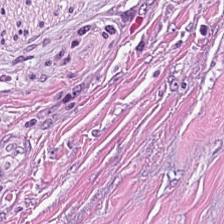Stain: H&E.
Tissue type: desmoplastic stroma.
